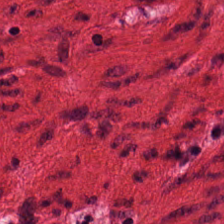H&E stain — Finding → smooth-muscle tissue.
